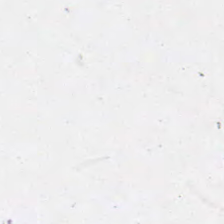H&E; formalin-fixed paraffin-embedded section — Q: What does this patch show?
A: This is background (no tissue).
